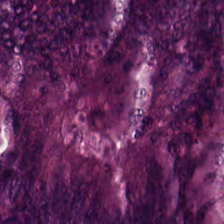Predominantly tumor epithelium.
